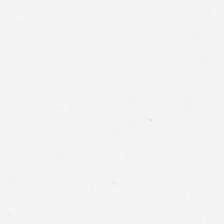Classification: no tissue.
